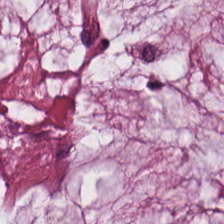H&E.
Classification — mucus.
